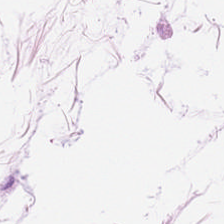Whole-slide-image patch; hematoxylin and eosin.
Classification — fat tissue.
